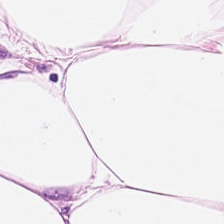Hematoxylin-and-eosin stained section.
Q: What tissue type is shown here?
A: Adipose.
